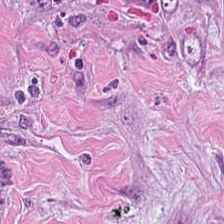Hematoxylin-and-eosin stained section. 0.5 microns per pixel. Formalin-fixed paraffin-embedded section.
This patch shows desmoplastic stroma.
